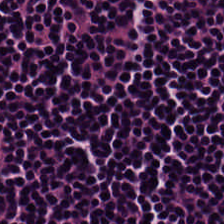0.5 µm/px. H&E stain. WSI patch. The tissue here is lymphocytic infiltrate.
